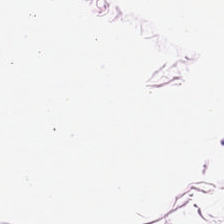H&E; FFPE — Adipose tissue.
